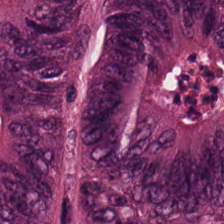0.5 µm/px; H&E; brightfield — The predominant tissue is tumor epithelium.
